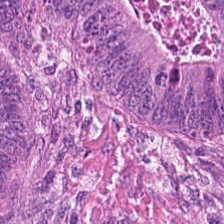Hematoxylin-and-eosin stained section — Tissue class: adenocarcinoma.
